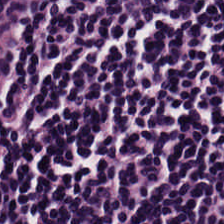H&E — lymphocyte aggregate.
